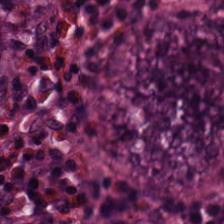Brightfield microscopy; 0.5 µm/px; hematoxylin and eosin.
This field is non-neoplastic colon mucosa.
